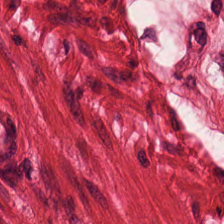Tissue class = muscularis.
